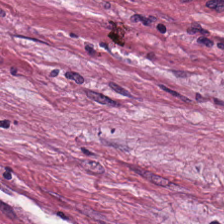H&E · formalin-fixed paraffin-embedded section · WSI patch — The classification is tumor-associated stroma.
